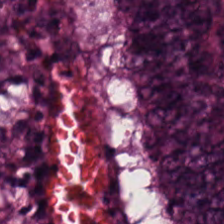Hematoxylin and eosin — The tissue here is colorectal adenocarcinoma epithelium.
